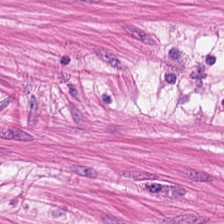H&E. Brightfield microscopy. FFPE tissue section.
Q: What tissue is shown?
A: It is smooth muscle.
